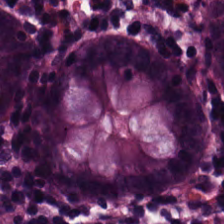Hematoxylin and eosin — The predominant tissue is normal colon mucosa.
